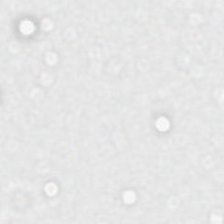H&E — No tissue present; background only.
